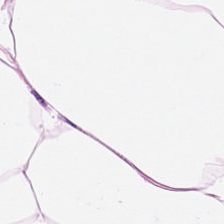Hematoxylin and eosin — The classification is adipose tissue.
